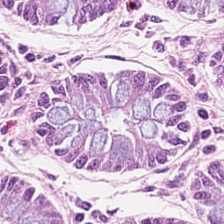Impression — non-neoplastic colon mucosa.
